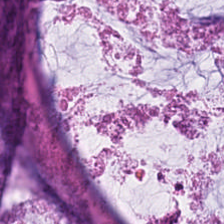H&E stain.
Finding — mucus.
